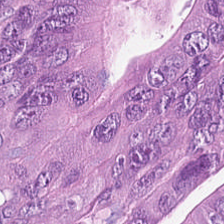H&E — Malignant epithelium.
